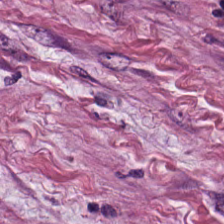Hematoxylin-and-eosin stained section. Q: What tissue type is shown here?
A: This is desmoplastic stroma.
